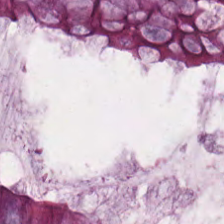Tissue = non-neoplastic colon mucosa.
